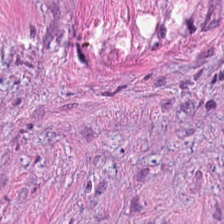Hematoxylin-and-eosin stained section.
Tissue type: desmoplastic stroma.
